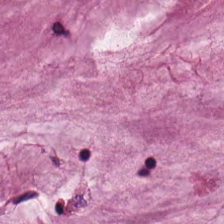Q: What is shown here?
A: Mucin.
